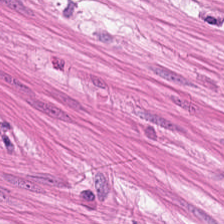Stain: H&E stain.
Resolution: 20× equivalent magnification.
Tissue class: muscularis.
